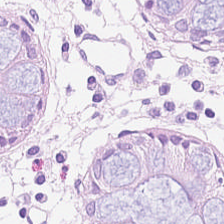Hematoxylin-and-eosin stained section · 224×224 pixel tile. The predominant tissue is normal colonic mucosa.
